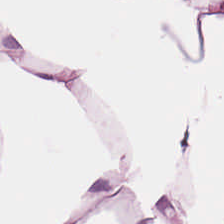0.5 microns per pixel; H&E — Finding — fat tissue.
